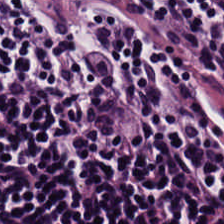224×224 px tile; 0.5 microns per pixel; hematoxylin-and-eosin stained section. Impression — lymphocytic infiltrate.
